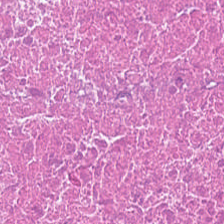Hematoxylin-and-eosin stained section. FFPE. Brightfield. The tissue here is debris.
